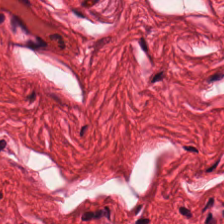Hematoxylin-and-eosin stained section.
Predominantly smooth-muscle tissue.
